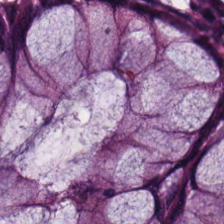This patch shows benign colonic mucosa.
